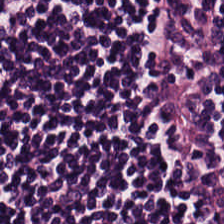H&E stain.
Classification — lymphoid infiltrate.
